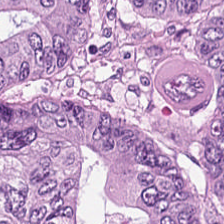Stain: H&E.
Preparation: FFPE tissue section.
Tissue class: colorectal adenocarcinoma epithelium.
